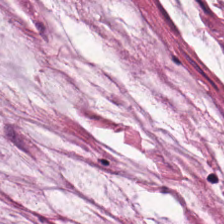Hematoxylin and eosin. Tissue class: extracellular mucin.
